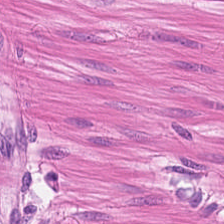Stain: H&E.
Tissue class: smooth muscle.
